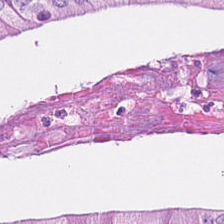0.5 microns per pixel · hematoxylin-and-eosin stained section.
The predominant tissue is colorectal adenocarcinoma epithelium.
